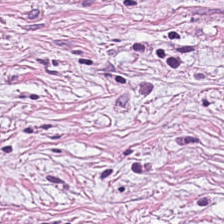Hematoxylin-and-eosin stained section. The predominant tissue is tumor stroma.
